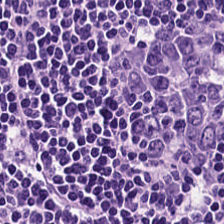This field is lymphocytes.
